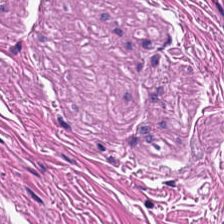Hematoxylin-and-eosin stained section — Impression → smooth muscle.
